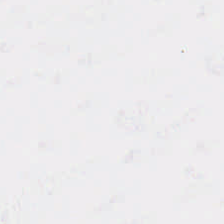Hematoxylin-and-eosin stained section. FFPE tissue section — Background (no tissue).
